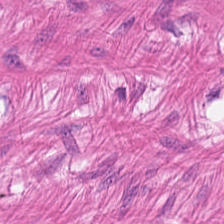Stain: hematoxylin and eosin.
Tissue class: smooth muscle.
